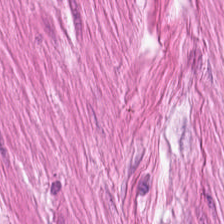H&E patch showing muscularis.
